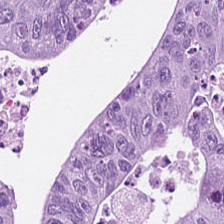Stain: H&E stain.
Tissue type: tumor epithelium.
